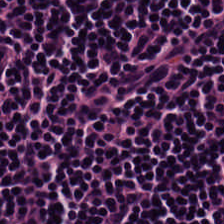H&E; 224×224 pixel tile — Classification — lymphocyte aggregate.
